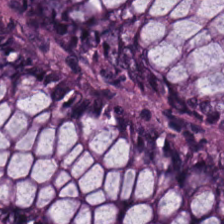H&E — {"tissue_type": "benign colonic mucosa"}
